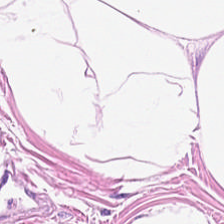H&E patch showing adipocytes.
